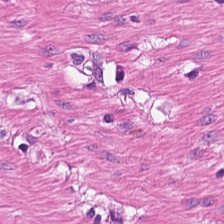FFPE tissue section · 224×224 pixel tile · hematoxylin and eosin — {"tissue_type": "smooth muscle"}
